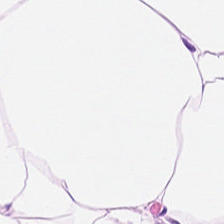Tissue type: adipose.
